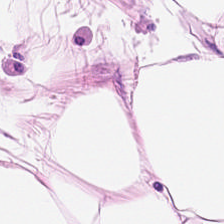Hematoxylin-and-eosin stained section · brightfield microscopy · 224×224 pixel tile — The tissue type is adipose.
